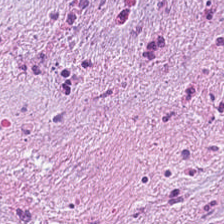Stain: hematoxylin-and-eosin stained section.
Classification: tumor stroma.
